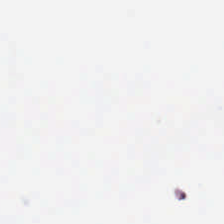Q: What is shown here?
A: It is background (no tissue).
